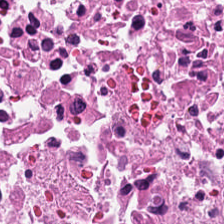Hematoxylin and eosin — Showing debris.
